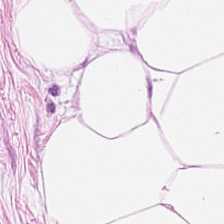H&E stain. Predominantly fat tissue.
